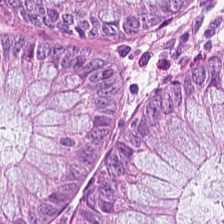Hematoxylin and eosin; 224×224 px patch. Classification: normal colon mucosa.
